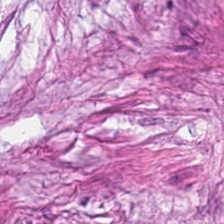Hematoxylin and eosin.
Finding → tumor-associated stroma.
